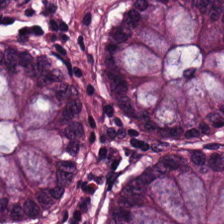Stain: H&E stain.
Preparation: FFPE tissue section.
Tissue: normal colon mucosa.
